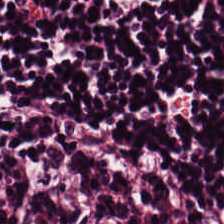224×224 px tile · hematoxylin-and-eosin stained section.
Showing lymphocytic infiltrate.
